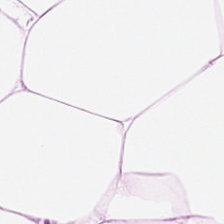H&E — fat tissue.
